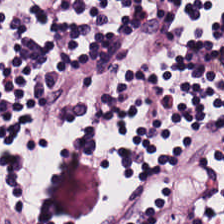H&E-stained tissue section. Tissue type: lymphocytes.
